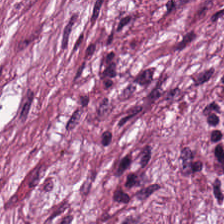Impression → tumor stroma.
